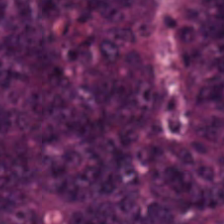20× equivalent magnification. Hematoxylin and eosin — The tissue here is tumor epithelium.
